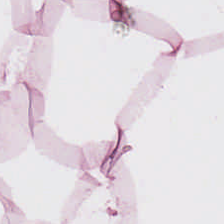H&E stain. Tissue: adipose.
